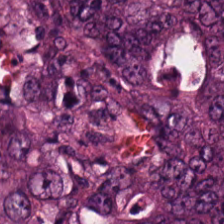Hematoxylin and eosin · FFPE tissue section · brightfield microscopy. This field is malignant epithelium.
